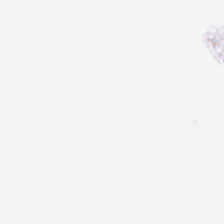H&E-stained tissue section. Classification — background.
